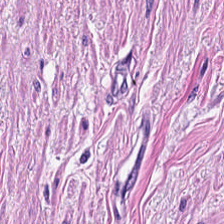H&E — Tissue: smooth-muscle tissue.
